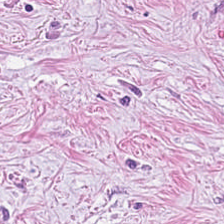Formalin-fixed paraffin-embedded section. H&E-stained tissue section. Brightfield microscopy — Q: Classify this patch.
A: This is tumor-associated stroma.
